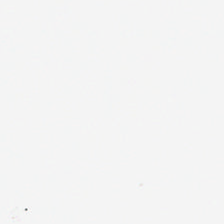Stain: hematoxylin and eosin.
Preparation: FFPE.
Acquisition: whole-slide-image patch.
Classification: empty background.
